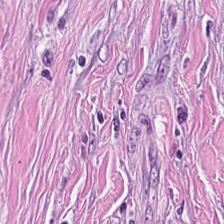H&E — Impression — desmoplastic stroma.
